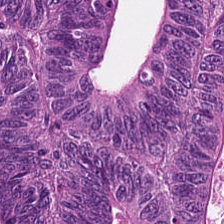0.5 µm per pixel; H&E stain — Showing tumor epithelium.
